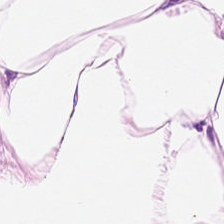FFPE; hematoxylin and eosin; brightfield.
Q: What is shown here?
A: It is fat tissue.
